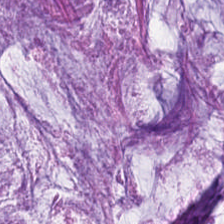Hematoxylin-and-eosin stained section · formalin-fixed paraffin-embedded section · whole-slide-image patch.
The predominant tissue is mucin.
